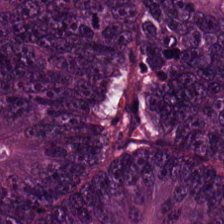Tissue = adenocarcinoma.
